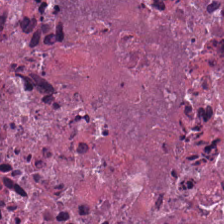H&E-stained tissue section — Tissue class = debris.
